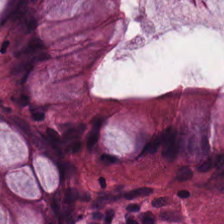Normal colonic mucosa.
